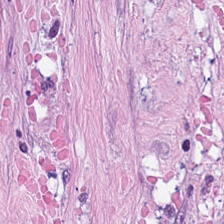H&E.
Histology → tumor-associated stroma.
